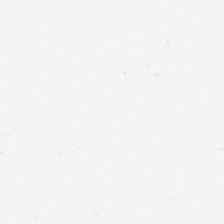H&E — Finding → empty background.
